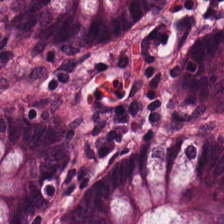Tissue — normal colonic mucosa.
